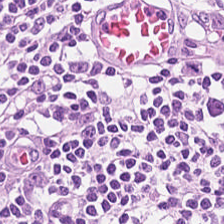Stain: hematoxylin-and-eosin stained section.
Resolution: 0.5 µm/px.
Classification: lymphocytic infiltrate.
